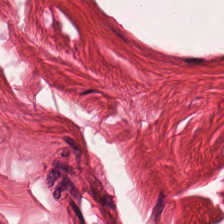H&E. Histology — muscularis.
